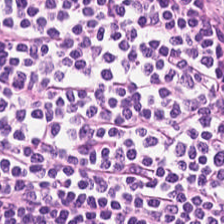Hematoxylin-and-eosin stained section — Impression → lymphocyte aggregate.
